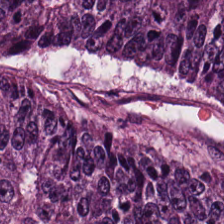0.5 µm/px · FFPE tissue section · hematoxylin and eosin — Q: What is shown in this field?
A: Malignant epithelium.
